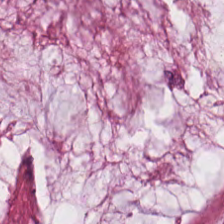Hematoxylin and eosin.
This field is mucin.
